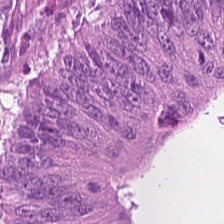Stain: hematoxylin-and-eosin stained section.
Tile size: 224×224 px patch.
Classification: colorectal adenocarcinoma.
